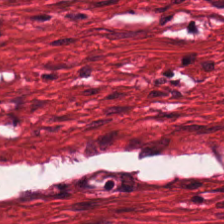0.5 µm/px. H&E-stained tissue section.
Classification = smooth muscle.
